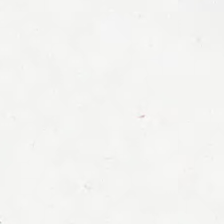H&E stain — Q: Classify this patch.
A: The field shows no tissue.
